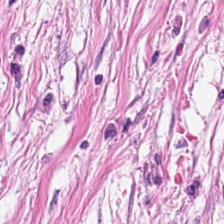Formalin-fixed paraffin-embedded section; hematoxylin-and-eosin stained section. Classification — tumor stroma.
